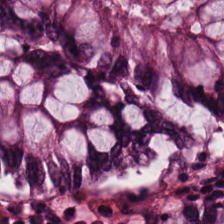Whole-slide-image patch; H&E-stained tissue section. Predominant tissue — normal colon mucosa.
